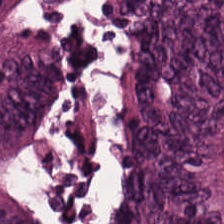0.5 µm per pixel. H&E stain. Impression → malignant epithelium.
